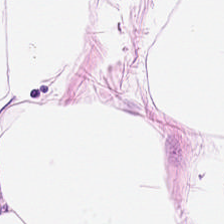The tissue class is adipocytes.
